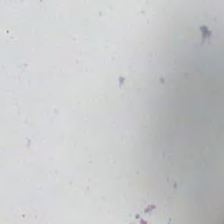H&E-stained tissue section · 20× equivalent magnification — Field content — background (no tissue).
